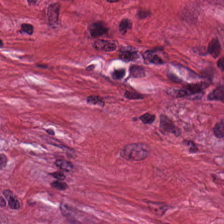Hematoxylin-and-eosin stained section · brightfield. Classification: cancer-associated stroma.
